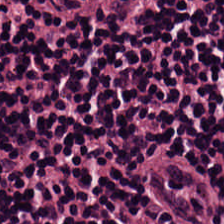224×224 pixel tile · hematoxylin-and-eosin stained section.
Tissue class — lymphocytes.
